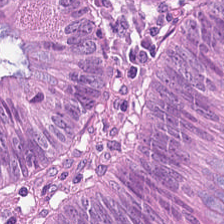Hematoxylin-and-eosin stained section — Predominantly colorectal adenocarcinoma.
